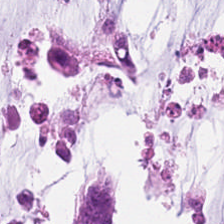Stain: H&E.
Acquisition: WSI patch.
Classification: mucus.
